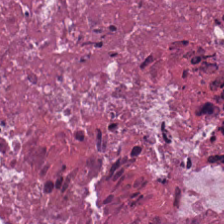H&E-stained tissue section showing debris.
